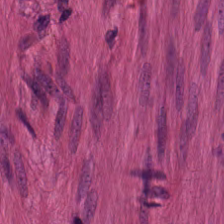Muscularis.
